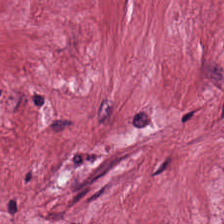H&E-stained tissue section — The tissue here is tumor stroma.
